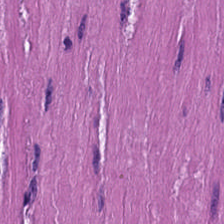Hematoxylin-and-eosin stained section.
This field is muscularis.
